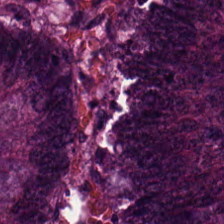Hematoxylin and eosin.
{"tissue_type": "tumor epithelium"}
